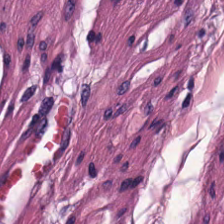FFPE; H&E-stained tissue section — Classification = smooth-muscle tissue.
